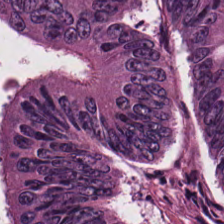Hematoxylin and eosin · WSI patch. Q: Classify this patch.
A: Colorectal adenocarcinoma epithelium.
